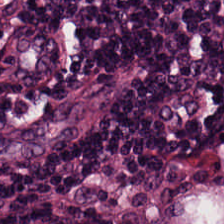Hematoxylin and eosin — Classification = lymphoid infiltrate.
